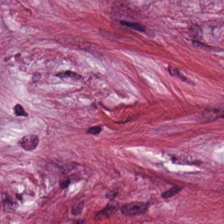H&E-stained tissue section. Tissue — desmoplastic stroma.
